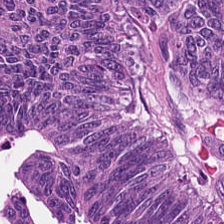H&E-stained tissue section; 224×224 px patch — Showing colorectal adenocarcinoma.
